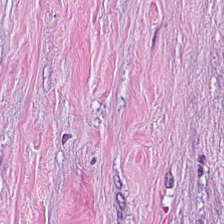Formalin-fixed paraffin-embedded section; H&E-stained tissue section. Showing tumor stroma.
